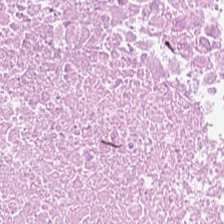224×224 px patch; H&E-stained tissue section; formalin-fixed paraffin-embedded section — The tissue here is debris.
